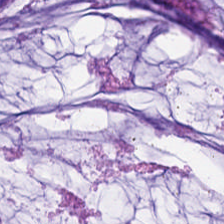H&E stain. The tissue here is extracellular mucin.
